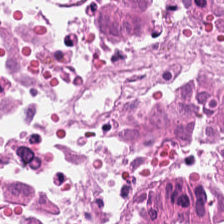20× equivalent magnification; H&E stain.
Tissue = cellular debris.
